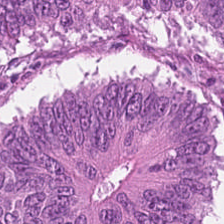Hematoxylin and eosin. This field is malignant epithelium.
